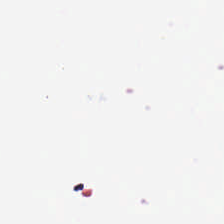FFPE tissue section. H&E. {"content": "background (no tissue)"}
